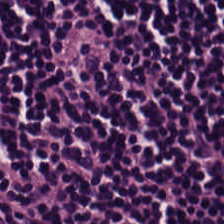H&E-stained tissue section — This patch shows lymphocyte aggregate.
